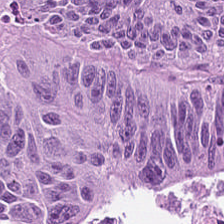H&E-stained tissue section.
Impression → colorectal adenocarcinoma epithelium.
